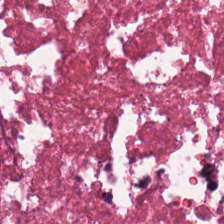H&E-stained section; the field shows necrotic debris.
